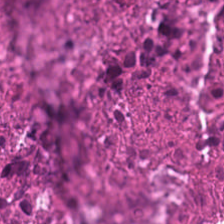Debris.
